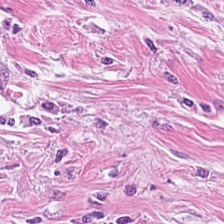{"tissue_type": "desmoplastic stroma"}
